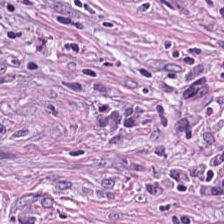H&E — Histology — cancer-associated stroma.
